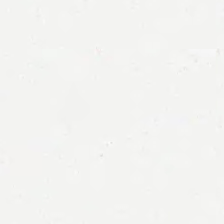H&E stain — Field content = background.
